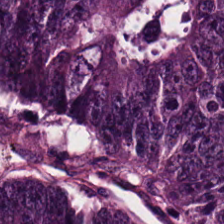Q: Identify the tissue.
A: This is tumor epithelium.
